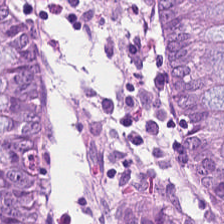FFPE tissue section · hematoxylin and eosin. The classification is normal colon mucosa.
